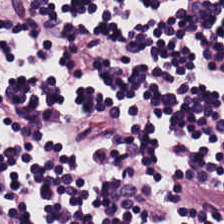H&E-stained section; the field shows lymphocyte aggregate.
